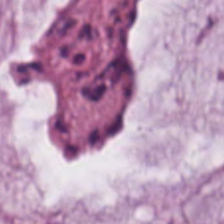H&E stain · brightfield. Showing extracellular mucin.
